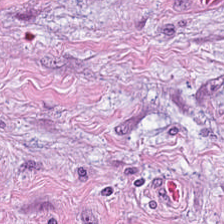H&E. Finding → tumor-associated stroma.
